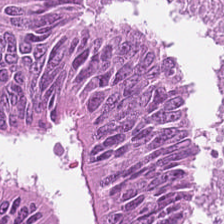Hematoxylin-and-eosin section: colorectal adenocarcinoma.
